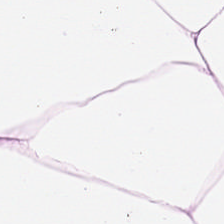H&E stain · FFPE tissue section.
This patch shows adipose.
